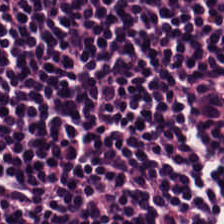224×224 px tile; hematoxylin-and-eosin stained section.
Finding → lymphocytes.
